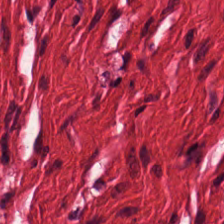Stain: H&E.
Preparation: FFPE tissue section.
Acquisition: WSI patch.
Classification: smooth muscle.
